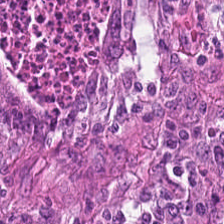Whole-slide-image patch · 0.5 microns per pixel · H&E. Histology — colorectal adenocarcinoma.
